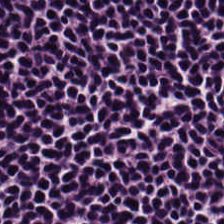Hematoxylin and eosin. Q: What is the predominant tissue type?
A: Lymphoid infiltrate.
